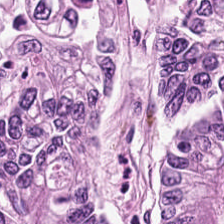H&E-stained tissue section.
{"tissue_type": "adenocarcinoma"}
